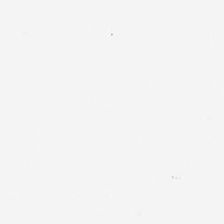{"content": "empty background"}
